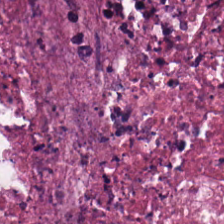H&E-stained tissue section.
The tissue type is cellular debris.
